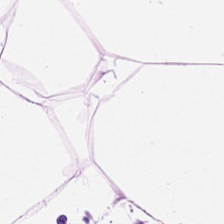224×224 px patch. H&E-stained tissue section — Fat tissue.
